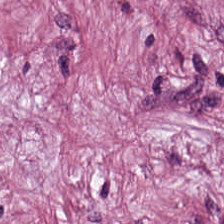Whole-slide-image patch. H&E-stained tissue section. Q: What does this patch show?
A: The field shows cancer-associated stroma.
